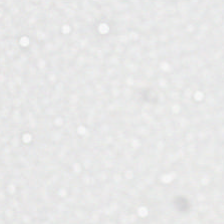Hematoxylin-and-eosin stained section. 224×224 px tile.
Background.
